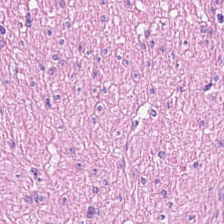Hematoxylin and eosin. Predominantly smooth muscle.
